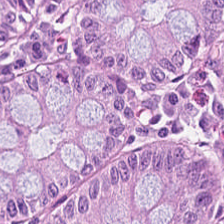H&E stain.
Benign colonic mucosa.
